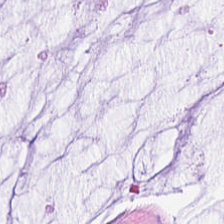H&E stain. This field is extracellular mucin.
